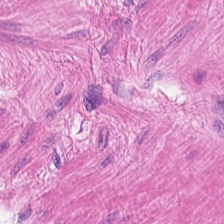Stain: hematoxylin-and-eosin stained section.
Predominant tissue: muscularis.
